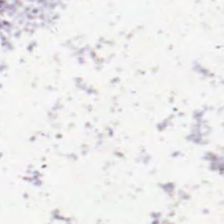H&E stain — Content — background.
